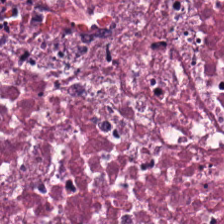FFPE; hematoxylin and eosin. Q: What type of tissue is this?
A: It is necrotic debris.
